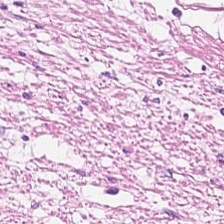Hematoxylin and eosin · brightfield. Predominantly smooth muscle.
